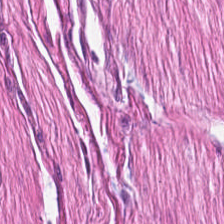H&E-stained tissue section. This patch shows smooth-muscle tissue.
